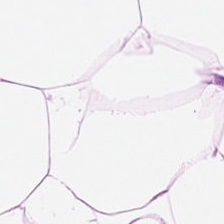Hematoxylin-and-eosin stained section; 224×224 px patch. Finding → adipose.
